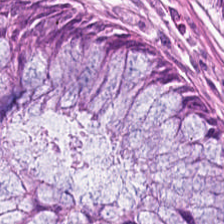Tissue type: benign colonic mucosa.
